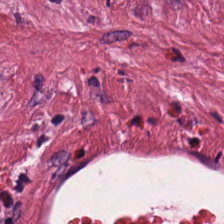0.5 microns per pixel; H&E. Q: What is shown in this field?
A: Tumor-associated stroma.
